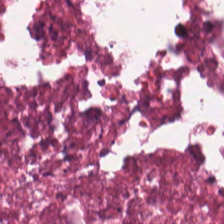Hematoxylin-and-eosin stained section. FFPE tissue section. Showing necrotic debris.
